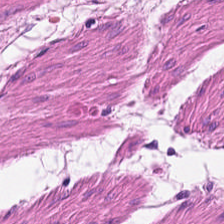H&E-stained tissue section — Q: Classify this patch.
A: Smooth-muscle tissue.
